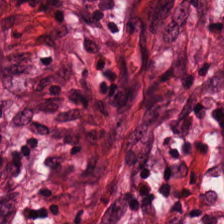Whole-slide-image patch · hematoxylin and eosin. Tissue class: cancer-associated stroma.
